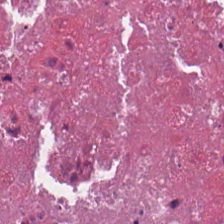FFPE tissue section · hematoxylin and eosin.
The tissue here is necrotic debris.
